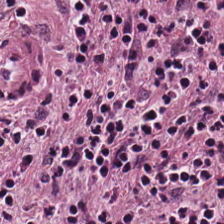Brightfield. H&E-stained tissue section.
The tissue here is lymphocytes.
